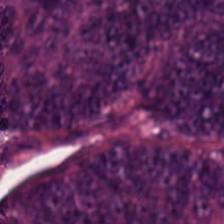Hematoxylin-and-eosin stained section.
Tissue class: tumor epithelium.
